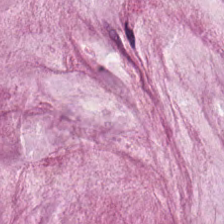H&E-stained tissue section. Classification = mucus.
